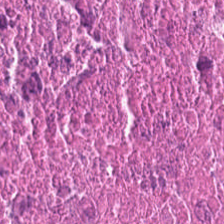Formalin-fixed paraffin-embedded section. Hematoxylin and eosin — Tissue type = necrotic debris.
